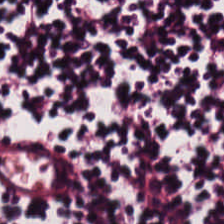Stain: hematoxylin-and-eosin stained section.
Tissue class: lymphocytic infiltrate.
